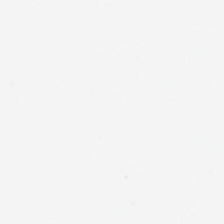Hematoxylin-and-eosin stained section. Content — no tissue.
